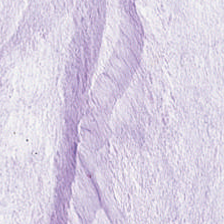H&E-stained section; the field shows mucus.
